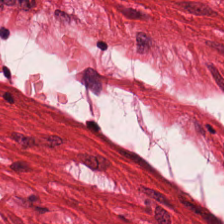Hematoxylin and eosin · 224×224 px tile · whole-slide-image patch — Q: Classify this patch.
A: It is smooth muscle.
